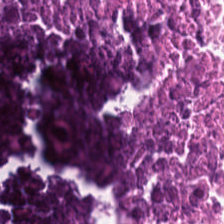Tissue class = cellular debris.
